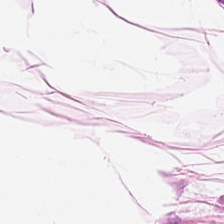H&E stain · 0.5 µm per pixel — {"tissue_type": "adipose"}
